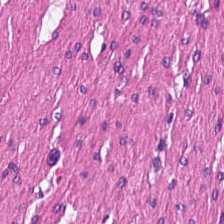Q: What is shown here?
A: It is muscularis.
